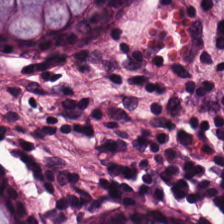224×224 pixel tile; hematoxylin and eosin.
Finding — benign colonic mucosa.
